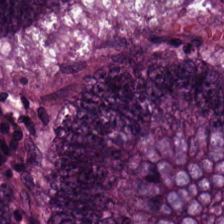Classification — malignant epithelium.
